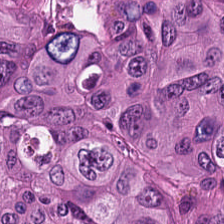Stain: hematoxylin and eosin.
Tissue class: tumor epithelium.
